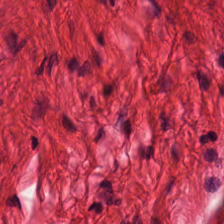Showing muscularis.
